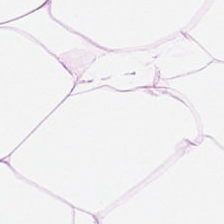H&E — adipocytes.
